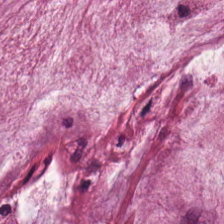Stain: hematoxylin-and-eosin stained section.
Tissue: mucin.
